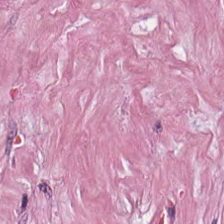224×224 px patch; FFPE; H&E. The tissue here is desmoplastic stroma.
